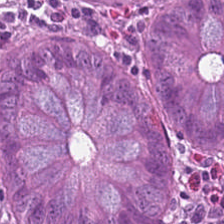Formalin-fixed paraffin-embedded section · H&E-stained tissue section.
Classification: normal colonic mucosa.
